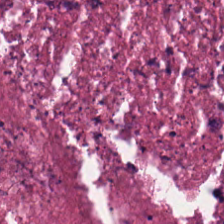Hematoxylin and eosin. Predominant tissue: necrotic debris.
